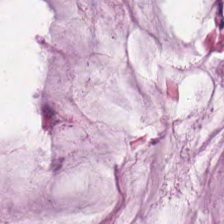Stain: H&E-stained tissue section.
Acquisition: whole-slide-image patch.
Tissue class: extracellular mucin.
